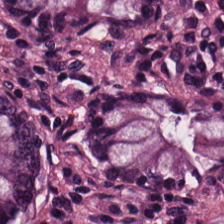Whole-slide-image patch · H&E-stained tissue section — Histology — benign colonic mucosa.
